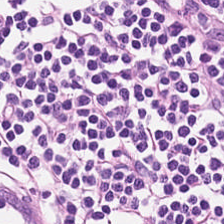Hematoxylin-and-eosin stained section — This patch shows lymphocyte aggregate.
